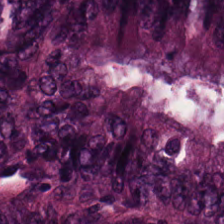The tissue here is colorectal adenocarcinoma epithelium.
